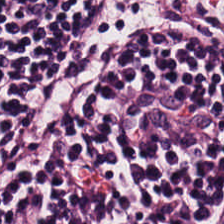{"tissue_type": "lymphoid infiltrate"}
